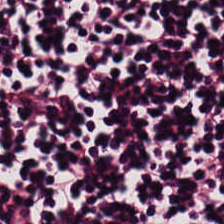224×224 px tile; hematoxylin and eosin. Tissue = lymphocytic infiltrate.
